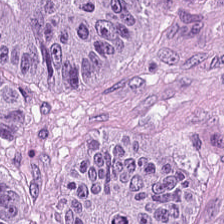Hematoxylin and eosin. This patch shows adenocarcinoma.
